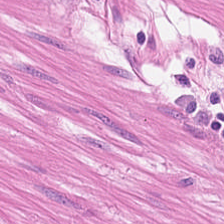Stain: H&E-stained tissue section.
Tissue: muscularis.
